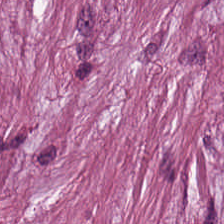Tissue class = tumor stroma.
